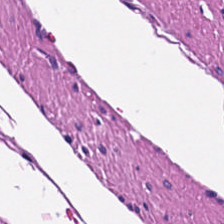0.5 µm per pixel; hematoxylin and eosin. Tissue class — smooth muscle.
